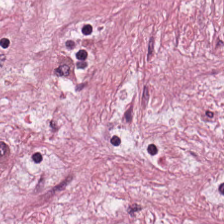0.5 microns per pixel · FFPE · H&E-stained tissue section.
Q: What type of tissue is this?
A: This is tumor-associated stroma.
